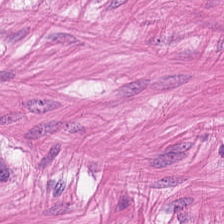H&E stain.
The tissue is smooth muscle.
